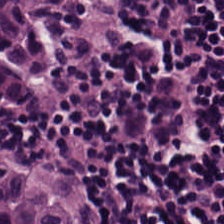Stain: H&E.
Acquisition: brightfield microscopy.
Predominant tissue: lymphocytes.
